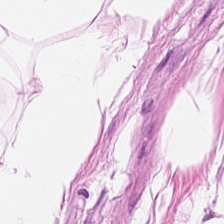Hematoxylin-and-eosin stained section. Formalin-fixed paraffin-embedded section. Whole-slide-image patch. Classification: adipose tissue.
